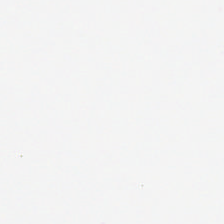FFPE; hematoxylin and eosin.
This field is background (no tissue).
